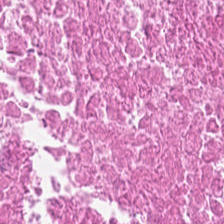This field is debris.
